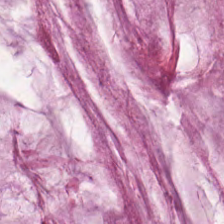H&E stain; 0.5 microns per pixel; 224×224 px patch — Extracellular mucin.
